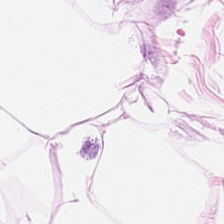Hematoxylin and eosin.
This field is adipose tissue.
